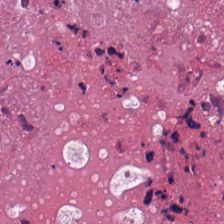The classification is necrotic debris.
